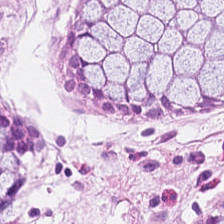Whole-slide-image patch · H&E-stained tissue section · FFPE — This patch shows benign colonic mucosa.
